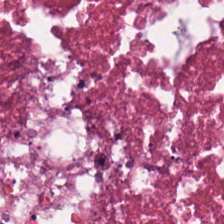H&E-stained tissue section. The classification is cellular debris.
